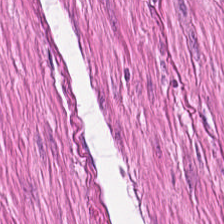H&E stain — This patch shows smooth muscle.
